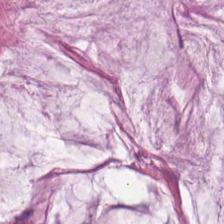H&E-stained tissue section.
The predominant tissue is extracellular mucin.
